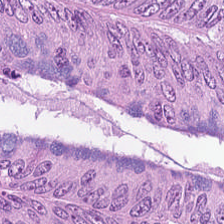H&E-stained tissue section — The predominant tissue is tumor epithelium.
